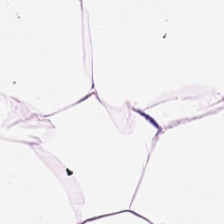Stain: H&E-stained tissue section.
Acquisition: whole-slide-image patch.
Preparation: FFPE tissue section.
Tissue: adipose.
